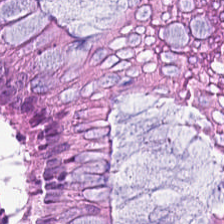Hematoxylin-and-eosin stained section · 0.5 microns per pixel — Predominantly normal colonic mucosa.
